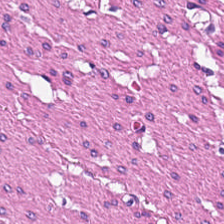H&E stain.
Finding — smooth-muscle tissue.
